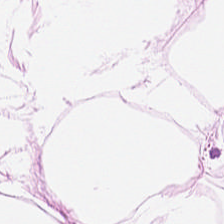H&E stain. FFPE tissue section.
Adipose tissue.
